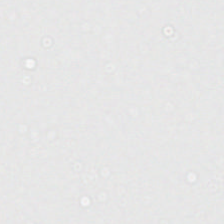H&E — Content: empty background.
